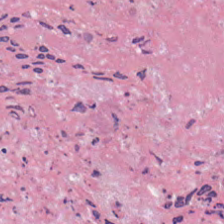H&E.
The tissue here is necrotic debris.
